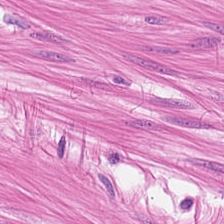0.5 µm/px · hematoxylin and eosin. This patch shows smooth-muscle tissue.
